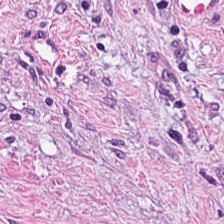Brightfield microscopy. Hematoxylin and eosin — This patch shows cancer-associated stroma.
